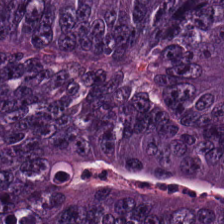The tissue type is tumor epithelium.
